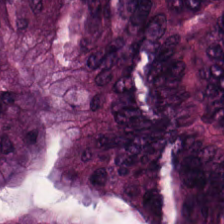224×224 px tile. H&E-stained tissue section.
Tissue type — colorectal adenocarcinoma.
